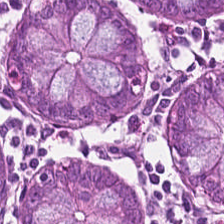224×224 px tile. Formalin-fixed paraffin-embedded section. H&E-stained tissue section. The predominant tissue is non-neoplastic colon mucosa.
